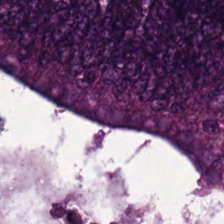Hematoxylin and eosin.
This field is colorectal adenocarcinoma epithelium.
